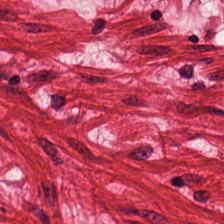0.5 µm/px · hematoxylin-and-eosin stained section — This field is smooth muscle.
